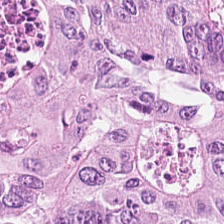H&E-stained section; the field shows colorectal adenocarcinoma.
